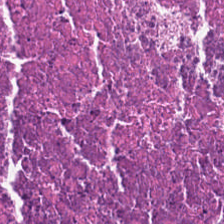Hematoxylin-and-eosin stained section; FFPE tissue section — Predominant tissue = debris.
